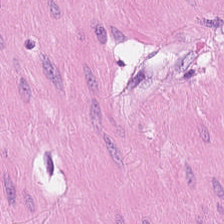Stain: H&E.
Acquisition: WSI patch.
Preparation: FFPE.
Tissue: smooth-muscle tissue.
